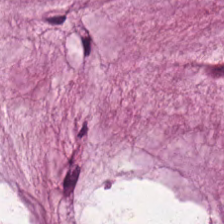Predominant tissue = mucin.
